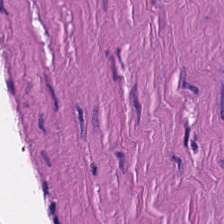H&E-stained section; the field shows smooth muscle.
